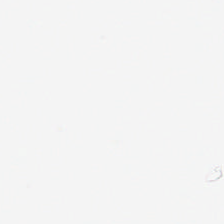Stain: hematoxylin-and-eosin stained section.
Acquisition: whole-slide-image patch.
Field content: background (no tissue).
